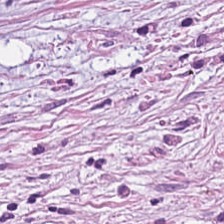H&E stain. Brightfield — Classification: cancer-associated stroma.
